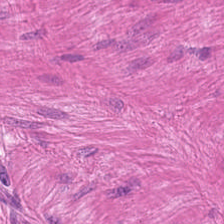H&E stain.
Showing smooth-muscle tissue.
